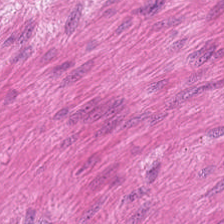Hematoxylin-and-eosin section: smooth-muscle tissue.
